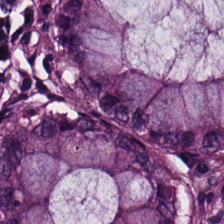224×224 px tile · H&E-stained tissue section.
The predominant tissue is normal colon mucosa.
